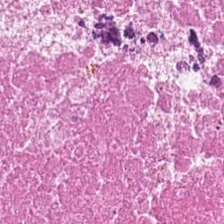Brightfield; 224×224 px patch; hematoxylin-and-eosin stained section — Tissue class — necrotic debris.
